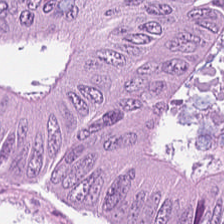224×224 px patch. H&E — The predominant tissue is colorectal adenocarcinoma epithelium.
